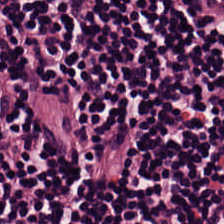Hematoxylin and eosin · 224×224 pixel tile · FFPE. The tissue here is lymphocyte aggregate.
